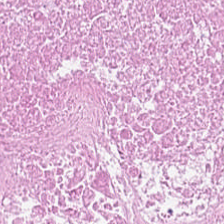H&E-stained tissue section — The tissue class is debris.
